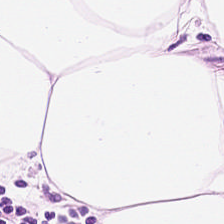H&E · FFPE tissue section.
Finding → fat tissue.
